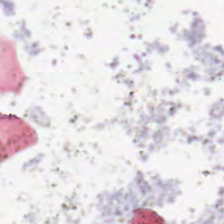H&E-stained tissue section.
This field is background (no tissue).
